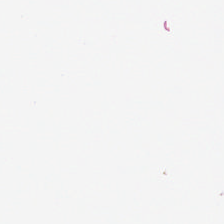H&E stain; FFPE tissue section. The classification is background.
